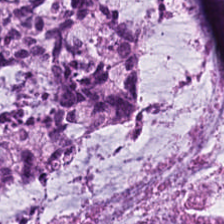Formalin-fixed paraffin-embedded section; hematoxylin and eosin; 0.5 microns per pixel — Q: What tissue is shown?
A: This is mucus.
